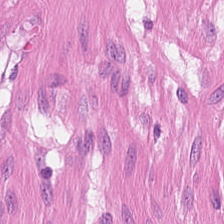224×224 px tile. H&E-stained tissue section.
The tissue class is smooth muscle.
